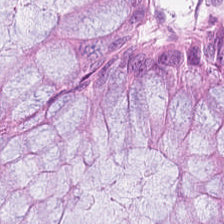H&E.
{"tissue_type": "normal colonic mucosa"}
